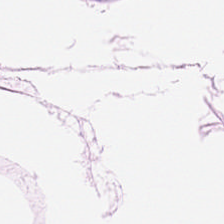0.5 µm per pixel · H&E stain.
{"tissue_type": "adipose tissue"}
